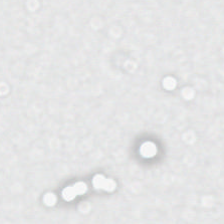Finding — background.
